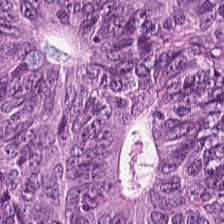Stain: hematoxylin and eosin.
Acquisition: brightfield microscopy.
Tile size: 224×224 px tile.
Predominant tissue: malignant epithelium.
